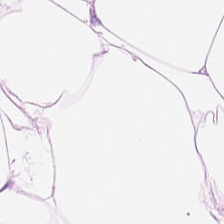Hematoxylin-and-eosin stained section. FFPE. Brightfield microscopy.
The predominant tissue is adipocytes.
